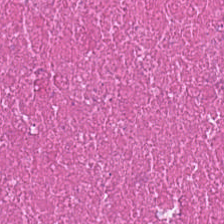Stain: hematoxylin and eosin.
Acquisition: whole-slide-image patch.
Classification: cellular debris.
